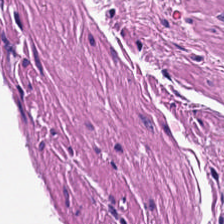Hematoxylin-and-eosin stained section · FFPE tissue section · whole-slide-image patch — This patch shows smooth muscle.
